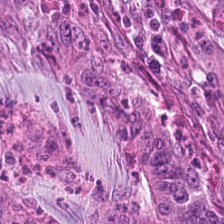H&E · formalin-fixed paraffin-embedded section. Q: Identify the tissue.
A: The field shows malignant epithelium.
